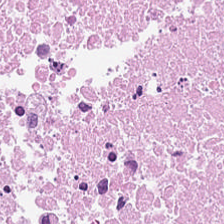H&E-stained tissue section · 0.5 µm per pixel · formalin-fixed paraffin-embedded section.
Predominantly necrotic debris.
